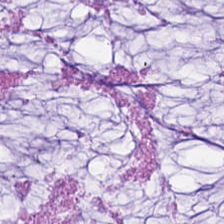Showing extracellular mucin.
